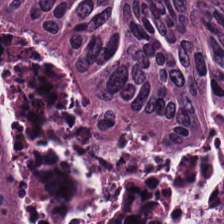Stain: H&E-stained tissue section.
Acquisition: whole-slide-image patch.
Tissue class: adenocarcinoma.
